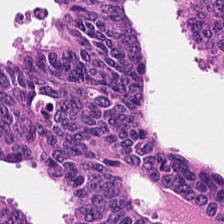224×224 px patch; H&E-stained tissue section; brightfield. Predominantly colorectal adenocarcinoma.
